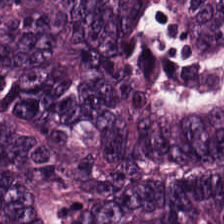WSI patch. H&E stain. Impression → colorectal adenocarcinoma epithelium.
